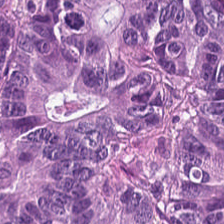Stain: H&E-stained tissue section.
Tissue type: colorectal adenocarcinoma epithelium.
